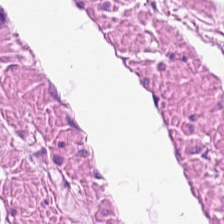H&E — This patch shows smooth-muscle tissue.
